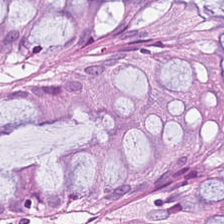H&E-stained section; the field shows normal colonic mucosa.
